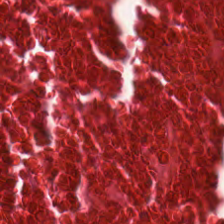H&E.
Histology — necrotic debris.
